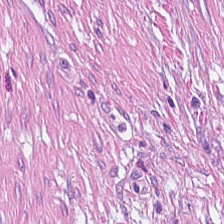H&E-stained tissue section.
{"tissue_type": "cancer-associated stroma"}
